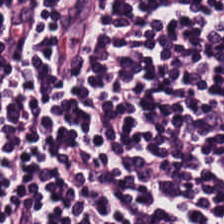FFPE tissue section · hematoxylin and eosin — Q: Classify this patch.
A: Lymphoid infiltrate.
